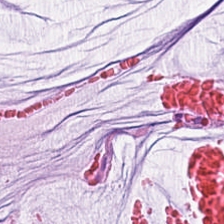224×224 pixel tile. Hematoxylin-and-eosin stained section.
The predominant tissue is extracellular mucin.
